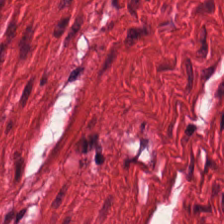Hematoxylin and eosin; 20× equivalent magnification; FFPE tissue section. The predominant tissue is muscularis.
